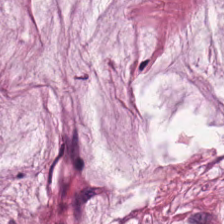224×224 px patch. H&E-stained tissue section. The predominant tissue is extracellular mucin.
